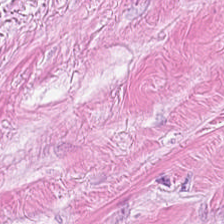Showing desmoplastic stroma.
